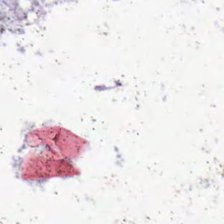224×224 pixel tile. Hematoxylin and eosin. 20× equivalent magnification. Background — no tissue in this field.
